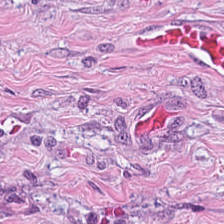H&E stain.
Tissue type: cancer-associated stroma.
